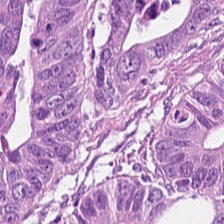H&E stain. WSI patch. 224×224 px patch.
The tissue type is tumor epithelium.
